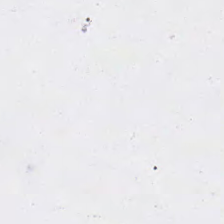H&E stain. {"content": "no tissue"}
